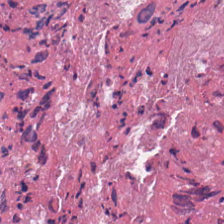Hematoxylin-and-eosin stained section. The tissue here is necrotic debris.
